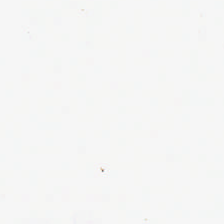H&E · 224×224 pixel tile.
Field content: no tissue.
